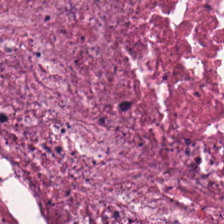Hematoxylin and eosin. Q: What type of tissue is this?
A: It is debris.
